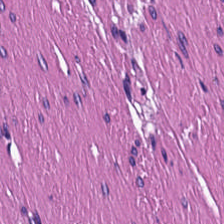H&E stain — Impression → smooth muscle.
